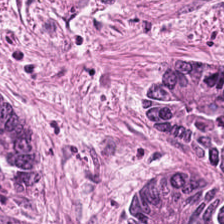H&E stain — Tissue type — colorectal adenocarcinoma.
